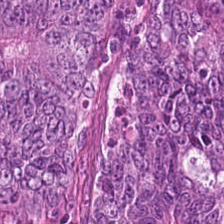Formalin-fixed paraffin-embedded section · H&E. Q: What tissue type is shown here?
A: The field shows adenocarcinoma.
